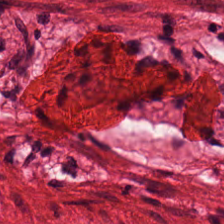Formalin-fixed paraffin-embedded section · hematoxylin and eosin.
{"tissue_type": "muscularis"}
